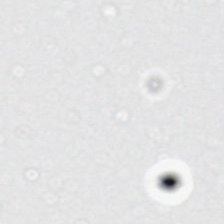Stain: H&E.
Classification: empty background.
